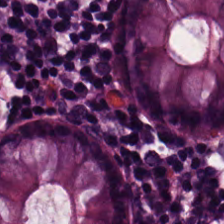FFPE tissue section; H&E-stained tissue section — Tissue type — normal colonic mucosa.
